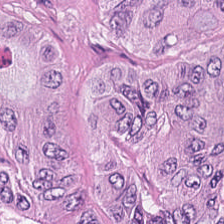Formalin-fixed paraffin-embedded section; H&E stain; 224×224 px patch — The tissue here is colorectal adenocarcinoma epithelium.
